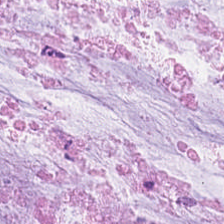Hematoxylin and eosin. Classification — extracellular mucin.
